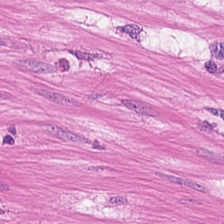Hematoxylin and eosin; whole-slide-image patch — Predominant tissue: smooth muscle.
